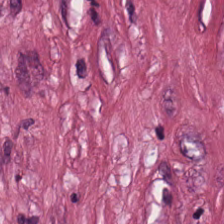H&E stain. 20× equivalent magnification — The tissue type is tumor-associated stroma.
